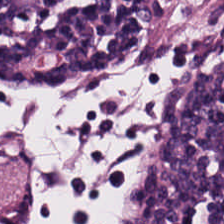H&E-stained tissue section showing lymphocyte aggregate.
